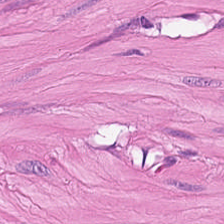224×224 px patch; H&E. Predominant tissue — smooth muscle.
